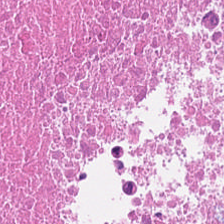Hematoxylin and eosin. 224×224 pixel tile — This field is cellular debris.
